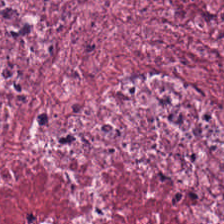This field is cancer-associated stroma.
